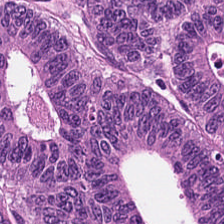H&E stain.
Showing colorectal adenocarcinoma epithelium.
